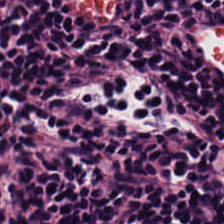Hematoxylin-and-eosin stained section. Predominantly lymphocytic infiltrate.
